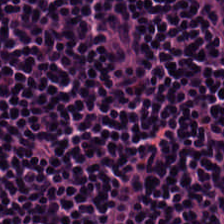H&E; formalin-fixed paraffin-embedded section. {"tissue_type": "lymphocytes"}
